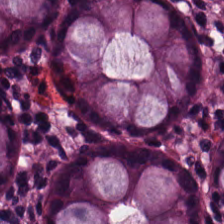Hematoxylin-and-eosin stained section · WSI patch.
This field is benign colonic mucosa.
